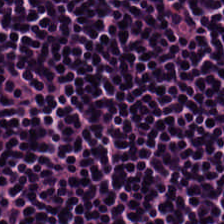H&E. FFPE tissue section.
This patch shows lymphoid infiltrate.
